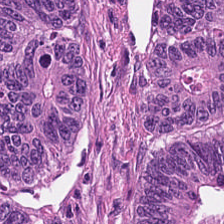Hematoxylin-and-eosin stained section.
Classification — tumor epithelium.
